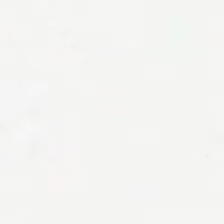Hematoxylin-and-eosin stained section · 224×224 pixel tile.
Classification = background.
